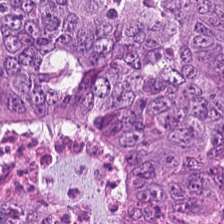Hematoxylin and eosin.
Predominant tissue — malignant epithelium.
